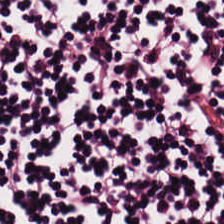Hematoxylin and eosin; FFPE. Impression → lymphocytic infiltrate.
